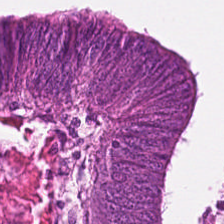0.5 microns per pixel; formalin-fixed paraffin-embedded section; H&E stain.
Tissue type: adenocarcinoma.
